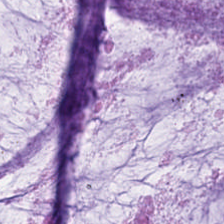Hematoxylin-and-eosin stained section. The predominant tissue is extracellular mucin.
